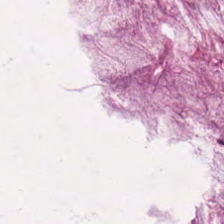Brightfield. H&E stain.
Tissue type = mucin.
